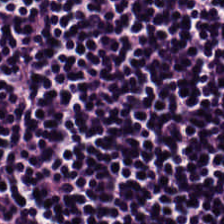Predominantly lymphocytes.
